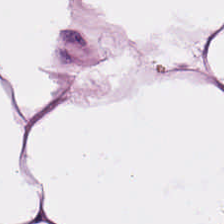Stain: H&E-stained tissue section.
Tile size: 224×224 px patch.
Tissue class: adipocytes.
